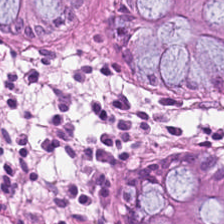H&E-stained tissue section — {"tissue_type": "benign colonic mucosa"}
